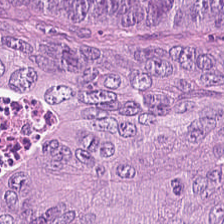H&E · FFPE tissue section — Q: What does this patch show?
A: This is malignant epithelium.
